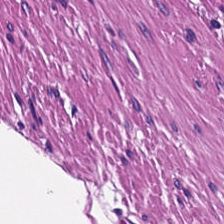H&E stain · brightfield.
Tissue type: muscularis.
